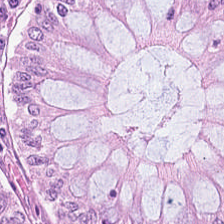Q: What is shown in this field?
A: This is normal colonic mucosa.
